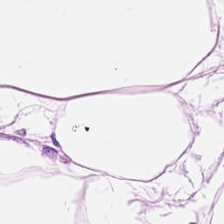This patch shows fat tissue.
